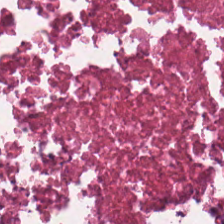0.5 microns per pixel; FFPE; hematoxylin and eosin — Tissue type: debris.
